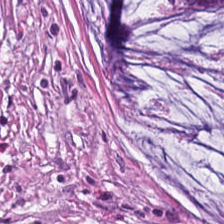WSI patch · hematoxylin-and-eosin stained section · 224×224 pixel tile. Impression → mucus.
